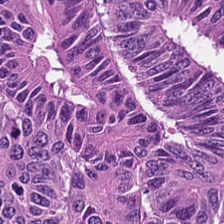Formalin-fixed paraffin-embedded section. H&E. 0.5 µm/px. Showing colorectal adenocarcinoma epithelium.
